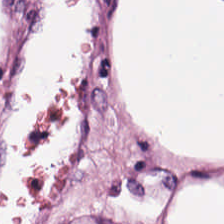H&E. This patch shows adipose tissue.
